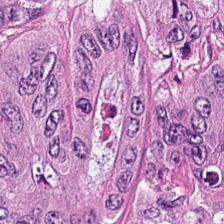The tissue class is colorectal adenocarcinoma.
